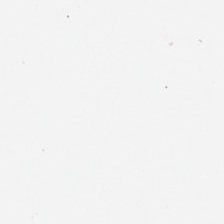224×224 px tile. H&E-stained tissue section.
Q: What is shown in this field?
A: This is empty background.
